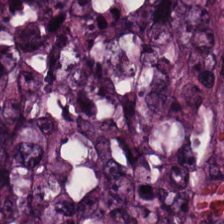Stain: H&E.
Predominant tissue: colorectal adenocarcinoma.
